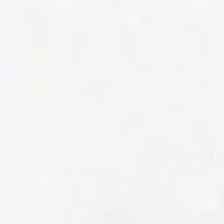H&E.
No tissue.
